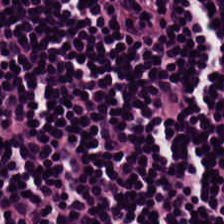Whole-slide-image patch. Hematoxylin-and-eosin stained section.
The predominant tissue is lymphocytes.
